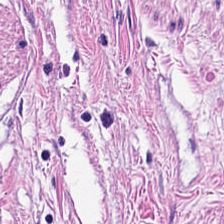The predominant tissue is smooth muscle.
